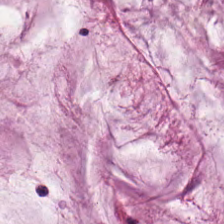0.5 microns per pixel · hematoxylin-and-eosin stained section — {"tissue_type": "mucin"}
